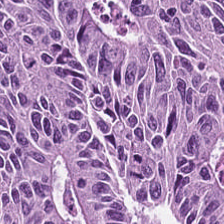WSI patch; H&E-stained tissue section. The tissue here is malignant epithelium.
